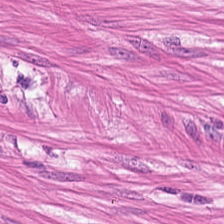Brightfield microscopy · H&E.
Histology — smooth-muscle tissue.
